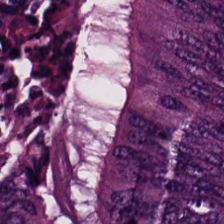Hematoxylin-and-eosin stained section — This field is colorectal adenocarcinoma.
